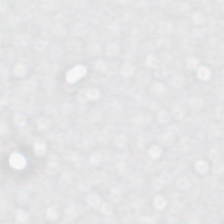H&E-stained tissue section; 0.5 µm per pixel. Empty field — background (no tissue).
